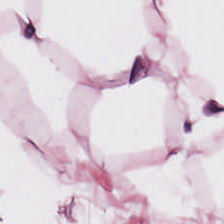The tissue is adipocytes.
